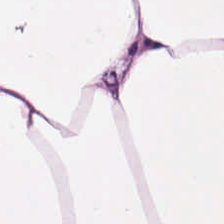224×224 px tile · H&E stain — Q: What does this patch show?
A: The field shows adipose tissue.
